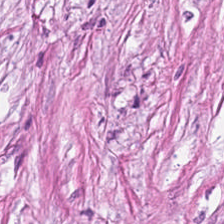H&E-stained tissue section · 224×224 px patch.
Finding — desmoplastic stroma.
